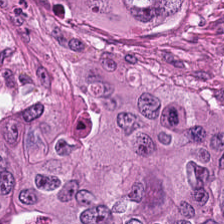Finding — adenocarcinoma.
